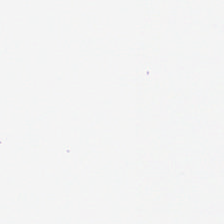Stain: hematoxylin-and-eosin stained section.
Acquisition: brightfield.
Field content: background.
